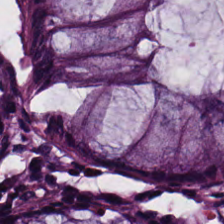Hematoxylin-and-eosin section: benign colonic mucosa.
